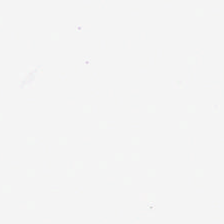Hematoxylin and eosin. This field is background (no tissue).
